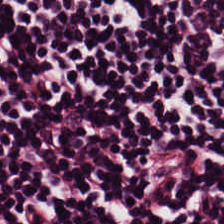224×224 px tile; FFPE tissue section; hematoxylin-and-eosin stained section — The predominant tissue is lymphocytic infiltrate.
